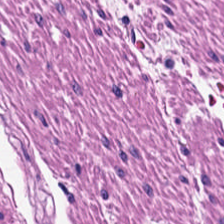H&E-stained tissue section — Q: What is the predominant tissue type?
A: It is smooth-muscle tissue.
